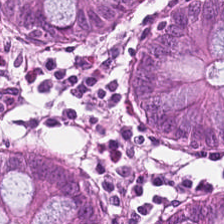H&E.
This field is normal colonic mucosa.
